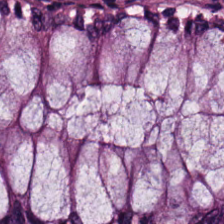Finding — normal colon mucosa.
